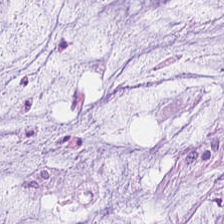Hematoxylin and eosin. {"tissue_type": "mucus"}
